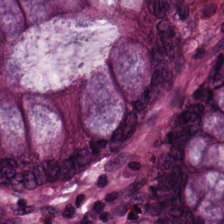Tissue type: benign colonic mucosa.
